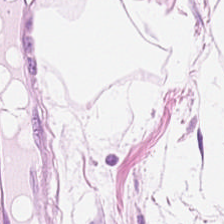Tissue type — adipose tissue.
